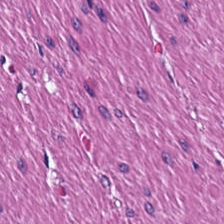224×224 px tile · FFPE tissue section · hematoxylin-and-eosin stained section. The predominant tissue is muscularis.
